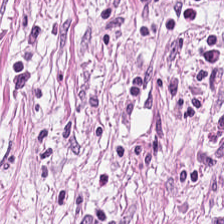Hematoxylin-and-eosin stained section; 224×224 pixel tile.
{"tissue_type": "tumor stroma"}
